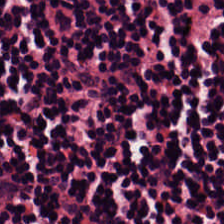H&E-stained tissue section · FFPE tissue section. Showing lymphocytic infiltrate.
